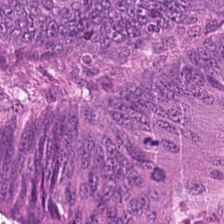Classification = adenocarcinoma.
